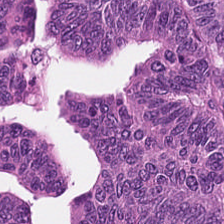H&E-stained tissue section.
This field is colorectal adenocarcinoma.
